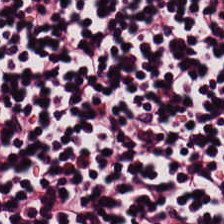Brightfield · H&E stain.
Tissue type — lymphocytic infiltrate.
